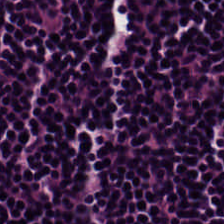H&E. Predominant tissue: lymphocytes.
